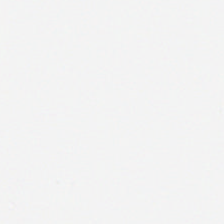0.5 µm/px. FFPE tissue section. H&E-stained tissue section.
Q: What is shown in this field?
A: This is background (no tissue).
